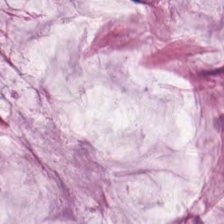H&E-stained tissue section — Tissue — mucus.
